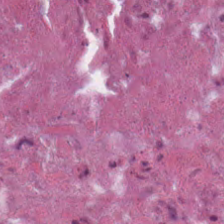H&E stain; 0.5 µm/px. This field is necrotic debris.
